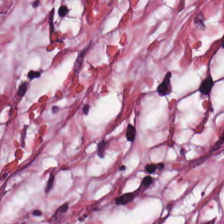Hematoxylin-and-eosin stained section.
The predominant tissue is desmoplastic stroma.
